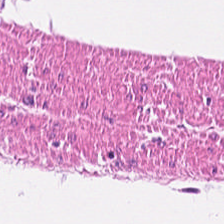H&E-stained tissue section · 224×224 pixel tile — This field is muscularis.
